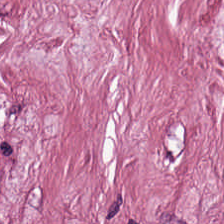Stain: hematoxylin and eosin.
Classification: tumor-associated stroma.
